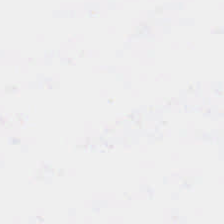This field is background (no tissue).
